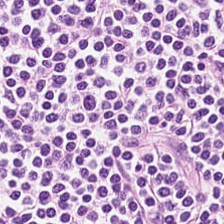Hematoxylin-and-eosin stained section; formalin-fixed paraffin-embedded section — {"tissue_type": "lymphocytic infiltrate"}
